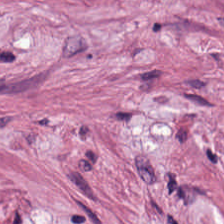Hematoxylin-and-eosin stained section · FFPE. Tissue = tumor-associated stroma.
